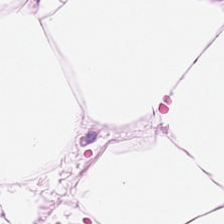Hematoxylin-and-eosin stained section; WSI patch. Tissue type: adipose.
